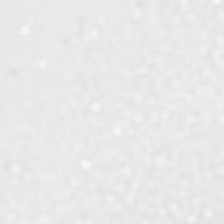H&E stain.
Empty background.
